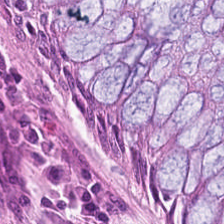Hematoxylin and eosin. Histology → normal colonic mucosa.
